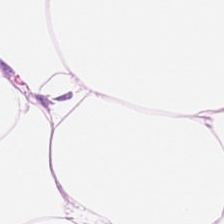H&E. Tissue class: fat tissue.
